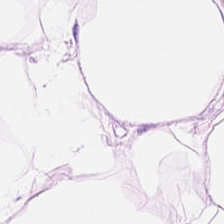H&E stain.
Q: What is shown here?
A: Adipocytes.
